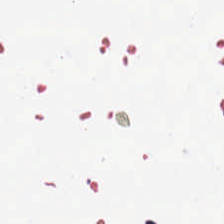Hematoxylin and eosin. Q: What does this patch show?
A: It is no tissue.
